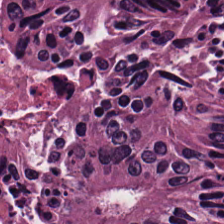H&E stain. Tumor epithelium.
